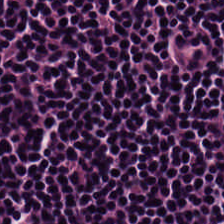Hematoxylin and eosin · brightfield microscopy — Q: What is shown in this field?
A: The field shows lymphoid infiltrate.
